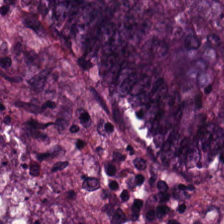Brightfield microscopy. H&E stain. Q: What tissue is shown?
A: This is tumor epithelium.
